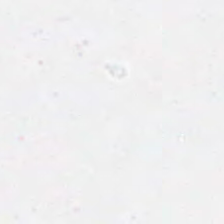Stain: H&E stain.
Classification: background (no tissue).
